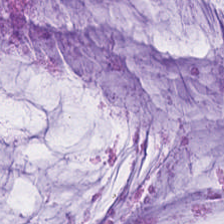H&E stain · 224×224 px patch. Impression → mucus.
